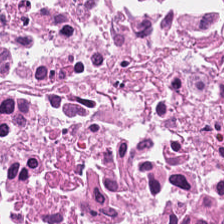0.5 µm per pixel; H&E-stained tissue section.
Tissue — cellular debris.
